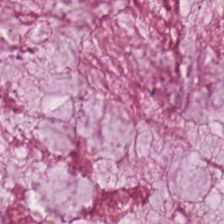H&E-stained tissue section — The predominant tissue is mucin.
